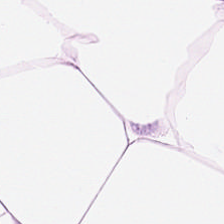The predominant tissue is adipocytes.
